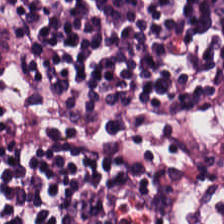Stain: H&E.
Classification: lymphoid infiltrate.
